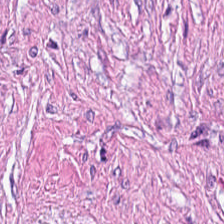0.5 µm per pixel. H&E. FFPE. Q: Classify this patch.
A: This is cancer-associated stroma.
